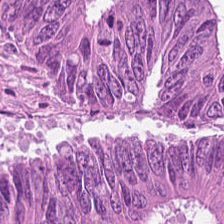0.5 µm per pixel; hematoxylin-and-eosin stained section — This patch shows malignant epithelium.
